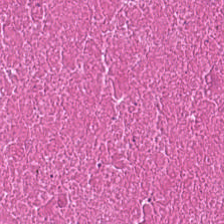H&E stain — Q: What tissue type is shown here?
A: This is debris.
